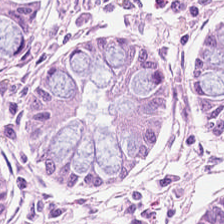Hematoxylin-and-eosin stained section.
Histology → normal colon mucosa.
